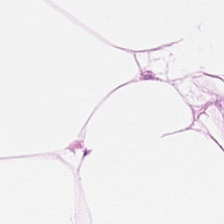The tissue class is fat tissue.
